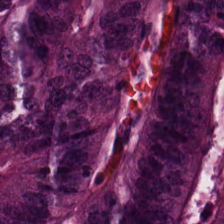H&E-stained tissue section · 0.5 µm/px — Showing colorectal adenocarcinoma epithelium.
